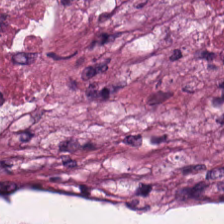H&E — The tissue here is debris.
